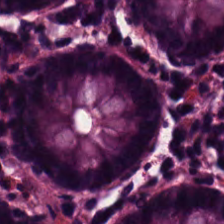Q: What tissue is shown?
A: This is non-neoplastic colon mucosa.
